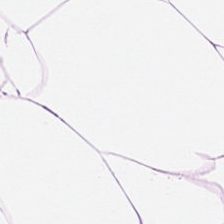Hematoxylin and eosin. 224×224 pixel tile — Q: What is shown in this field?
A: Fat tissue.
